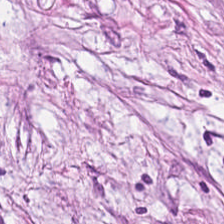H&E patch showing desmoplastic stroma.
